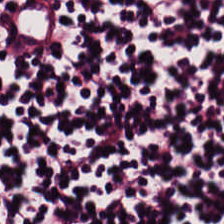Hematoxylin and eosin.
This patch shows lymphoid infiltrate.
